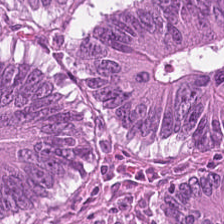Finding → adenocarcinoma.
